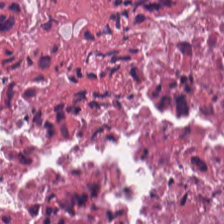H&E stain. 224×224 px tile.
This field is cellular debris.
